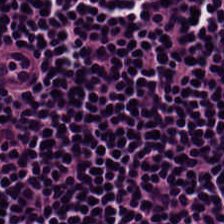WSI patch · 224×224 px tile · H&E. Impression → lymphocytes.
